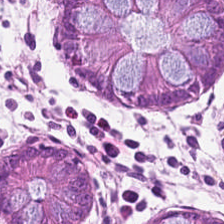H&E stain — Non-neoplastic colon mucosa.
